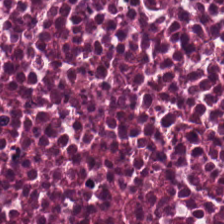Hematoxylin-and-eosin stained section — Q: What tissue is shown?
A: The field shows debris.
